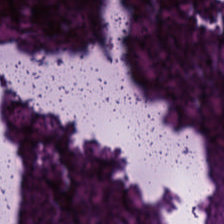Stain: H&E stain.
Tissue type: debris.
